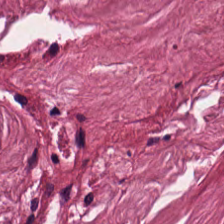H&E stain — Q: What tissue type is shown here?
A: It is tumor-associated stroma.
